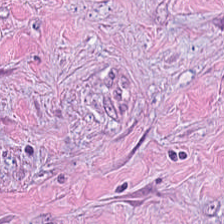H&E stain.
This field is cancer-associated stroma.
